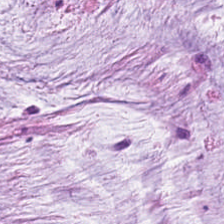The tissue type is mucin.
